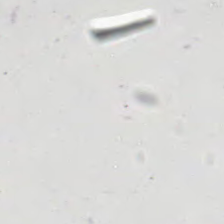H&E stain.
Impression → no tissue.
